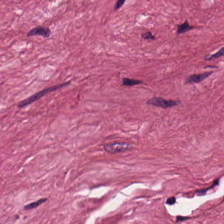Hematoxylin and eosin · 224×224 px tile — Finding → tumor stroma.
